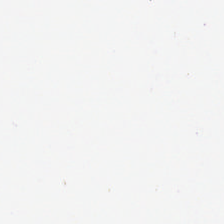224×224 px tile; hematoxylin-and-eosin stained section. Impression — no tissue.
